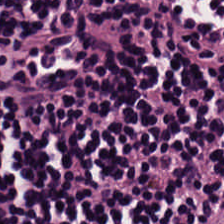FFPE; H&E; whole-slide-image patch.
Tissue class — lymphocytes.
